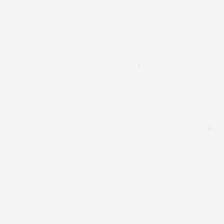H&E-stained tissue section — Classification: empty background.
